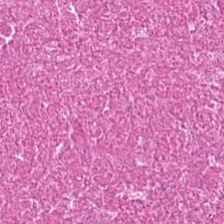H&E · FFPE — The tissue here is debris.
